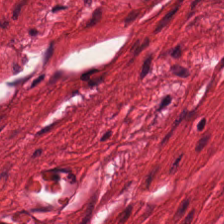H&E stain — The tissue here is muscularis.
